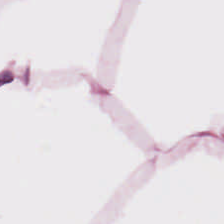H&E stain.
Tissue — adipose tissue.
